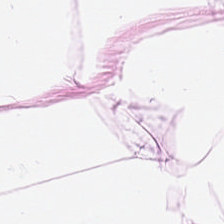H&E-stained tissue section — Q: What is the predominant tissue type?
A: The field shows adipocytes.
